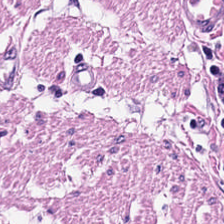H&E-stained tissue section; 0.5 µm per pixel; 224×224 px patch. Muscularis.
